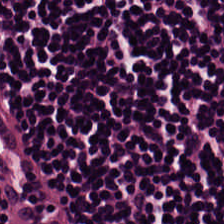H&E-stained tissue section.
Classification: lymphoid infiltrate.
